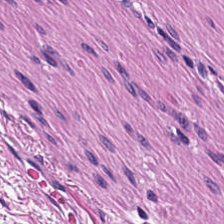224×224 px tile · H&E-stained tissue section. Predominant tissue — muscularis.
